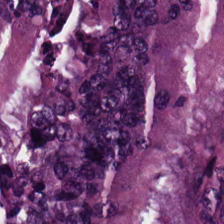FFPE; hematoxylin-and-eosin stained section — Q: What is shown here?
A: It is tumor epithelium.
